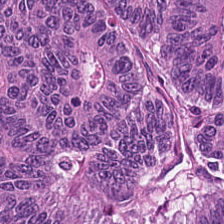H&E — colorectal adenocarcinoma.
